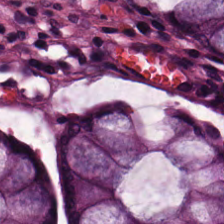H&E stain.
This field is non-neoplastic colon mucosa.
